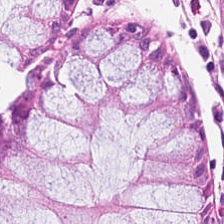Q: What type of tissue is this?
A: The field shows normal colonic mucosa.
